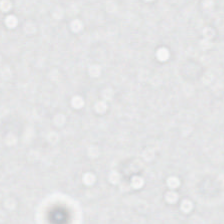0.5 µm/px. H&E-stained tissue section. FFPE tissue section — No tissue present; background only.
